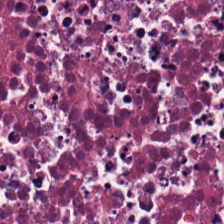H&E — Q: What tissue type is shown here?
A: The field shows cellular debris.
